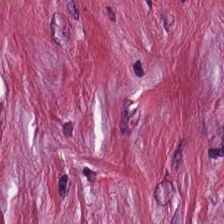Tissue: desmoplastic stroma.
